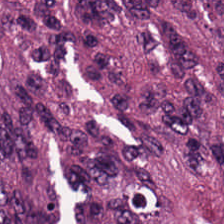H&E-stained tissue section. Tissue: malignant epithelium.
